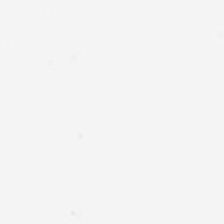Hematoxylin and eosin. Content: background (no tissue).
